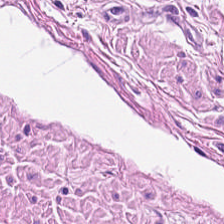Hematoxylin-and-eosin stained section.
Predominantly smooth muscle.
